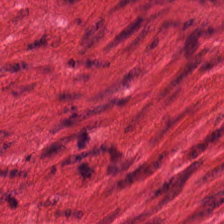H&E · brightfield microscopy. Histology — smooth muscle.
